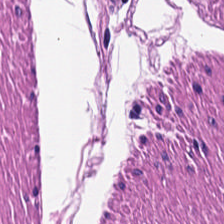0.5 µm/px · whole-slide-image patch · H&E — Tissue class = muscularis.
